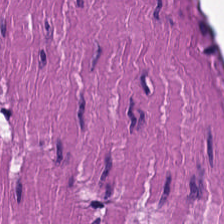H&E stain. This patch shows smooth-muscle tissue.
